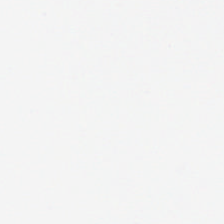Impression → background.
